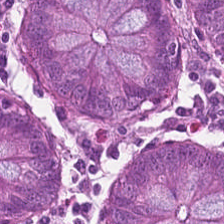H&E-stained tissue section. Showing normal colonic mucosa.
